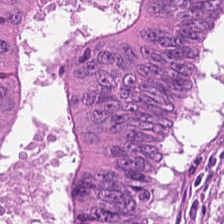H&E-stained tissue section. 0.5 microns per pixel. This patch shows adenocarcinoma.
